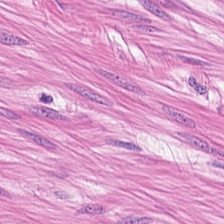Hematoxylin-and-eosin stained section — Q: Classify this patch.
A: Smooth-muscle tissue.
